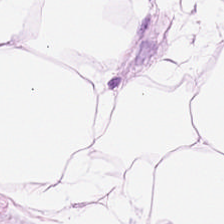FFPE. Hematoxylin and eosin — Tissue class — adipocytes.
